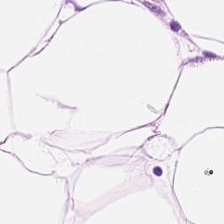H&E — fat tissue.
